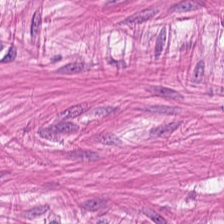Muscularis.
